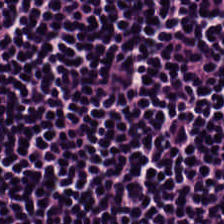Finding → lymphocyte aggregate.
